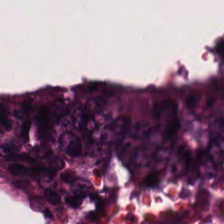H&E-stained tissue section.
The tissue here is colorectal adenocarcinoma.
